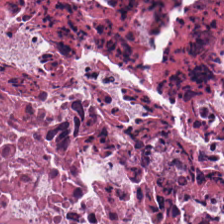H&E stain.
The tissue type is debris.
